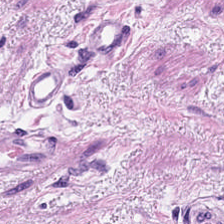Formalin-fixed paraffin-embedded section · H&E. Tissue: muscularis.
